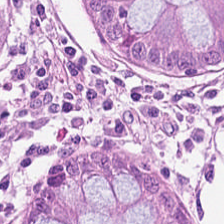Hematoxylin and eosin. The predominant tissue is normal colon mucosa.
